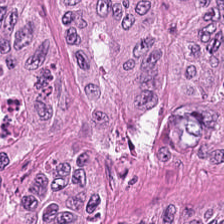H&E-stained tissue section showing adenocarcinoma.
